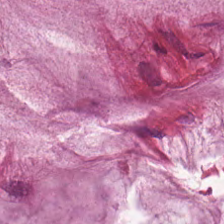H&E-stained tissue section; 0.5 microns per pixel.
The tissue type is extracellular mucin.
